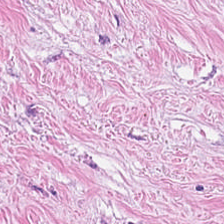224×224 px tile. H&E stain — {"tissue_type": "cancer-associated stroma"}
